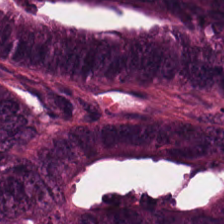H&E patch showing malignant epithelium.
